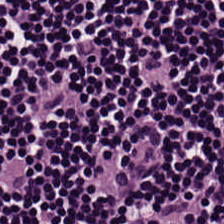This field is lymphoid infiltrate.
